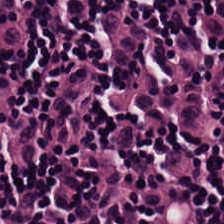Hematoxylin-and-eosin stained section.
Showing lymphocyte aggregate.
